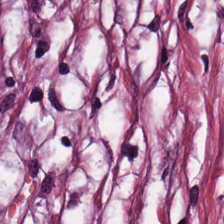H&E-stained tissue section; 0.5 µm per pixel; FFPE. Classification: cancer-associated stroma.
